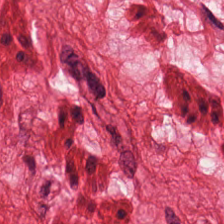H&E — Q: Classify this patch.
A: Smooth muscle.
